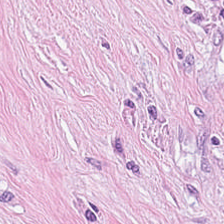H&E-stained tissue section — The tissue here is cancer-associated stroma.
